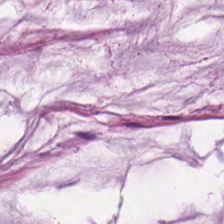0.5 µm/px · H&E · WSI patch. Q: What is shown in this field?
A: This is mucus.
